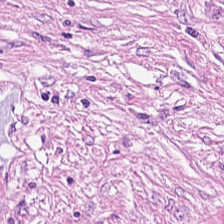H&E stain · brightfield. Showing cancer-associated stroma.
